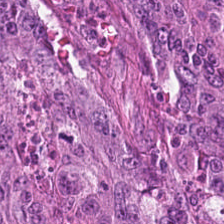Hematoxylin-and-eosin stained section · 224×224 px tile · brightfield.
This field is colorectal adenocarcinoma.
